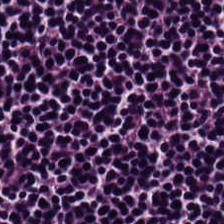H&E.
Classification = lymphoid infiltrate.
